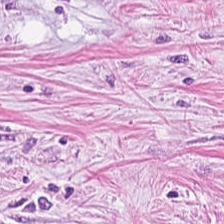Formalin-fixed paraffin-embedded section; hematoxylin-and-eosin stained section — This field is tumor-associated stroma.
